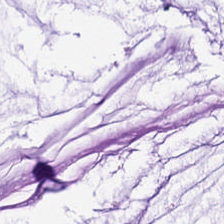H&E patch showing extracellular mucin.
